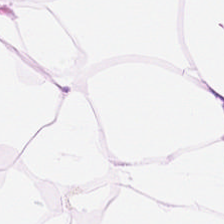Hematoxylin-and-eosin stained section. Brightfield microscopy. This patch shows adipose.
